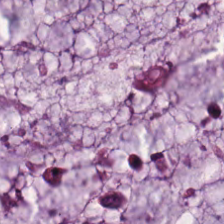{"tissue_type": "extracellular mucin"}
